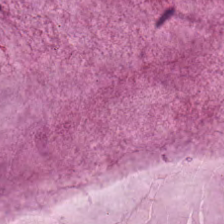H&E stain — This field is mucin.
